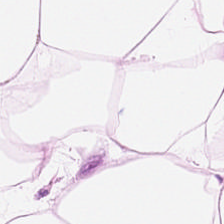224×224 px patch. H&E stain. 0.5 µm per pixel.
Tissue class: adipose tissue.
